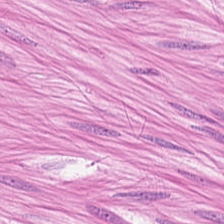H&E stain — Tissue — smooth-muscle tissue.
